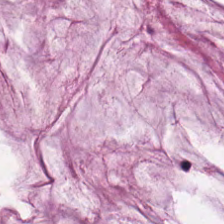H&E stain. Formalin-fixed paraffin-embedded section. Brightfield microscopy — This field is mucus.
